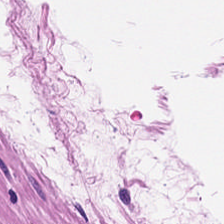H&E-stained tissue section.
{"tissue_type": "muscularis"}
